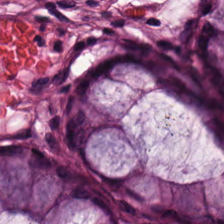Hematoxylin-and-eosin stained section · 224×224 pixel tile.
Finding → normal colonic mucosa.
